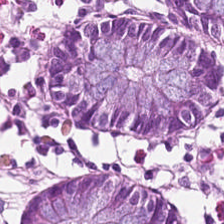H&E-stained tissue section.
Predominantly normal colonic mucosa.
